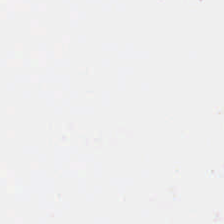Hematoxylin-and-eosin stained section; brightfield.
Content — no tissue.
